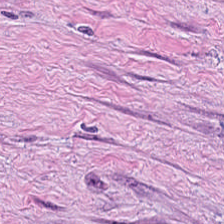Q: What tissue is shown?
A: Tumor stroma.
